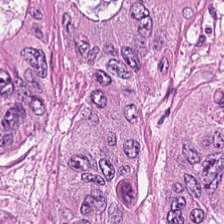0.5 µm/px · H&E stain · 224×224 px patch. Predominantly tumor epithelium.
